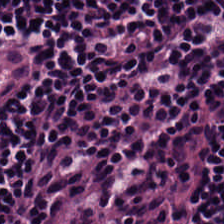Hematoxylin and eosin.
Showing lymphocytic infiltrate.
